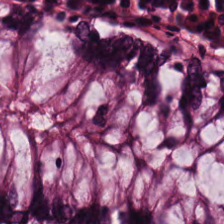H&E. Finding — normal colon mucosa.
